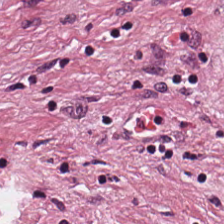Classification — tumor stroma.
